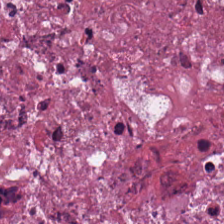Hematoxylin and eosin — This patch shows cellular debris.
